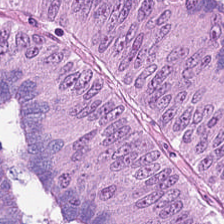Stain: hematoxylin-and-eosin stained section.
Tile size: 224×224 px tile.
Acquisition: whole-slide-image patch.
Predominant tissue: colorectal adenocarcinoma epithelium.
